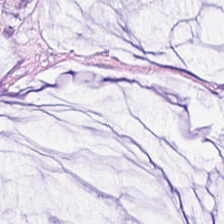H&E. Q: What is shown here?
A: The field shows extracellular mucin.
